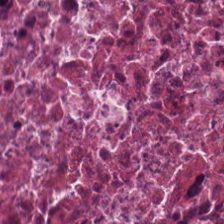H&E · 224×224 px tile — The predominant tissue is debris.
